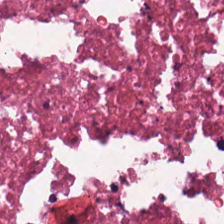FFPE tissue section. Hematoxylin and eosin. Tissue type = necrotic debris.
